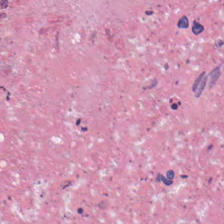H&E-stained tissue section · FFPE. The tissue here is debris.
